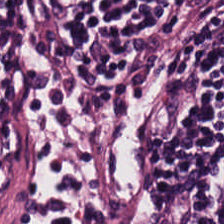Hematoxylin-and-eosin stained section.
{"tissue_type": "lymphocytic infiltrate"}
